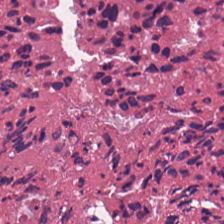H&E. {"tissue_type": "debris"}
